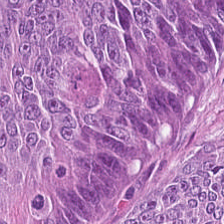H&E. Showing colorectal adenocarcinoma.
